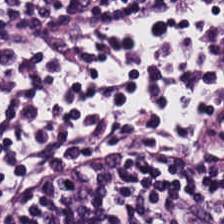WSI patch. Hematoxylin and eosin.
The tissue here is lymphocyte aggregate.
